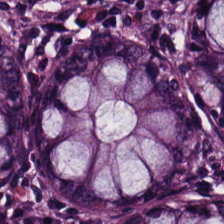H&E.
Classification — non-neoplastic colon mucosa.
